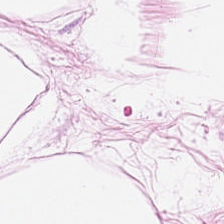H&E-stained tissue section. The tissue is adipocytes.
